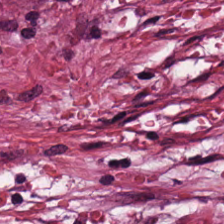H&E stain. Tissue: cancer-associated stroma.
